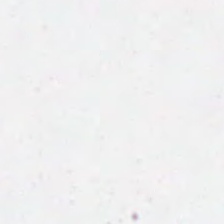H&E stain. 0.5 µm per pixel. 224×224 px tile. Empty field — background (no tissue).
